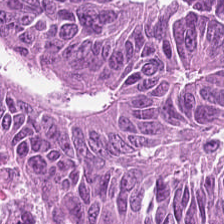H&E-stained tissue section. Showing colorectal adenocarcinoma epithelium.
